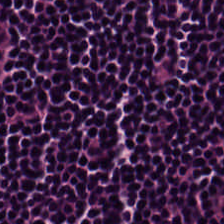Formalin-fixed paraffin-embedded section. H&E. Impression → lymphocytic infiltrate.
